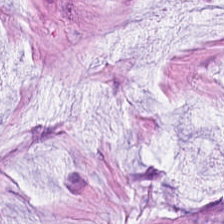H&E. This field is mucus.
